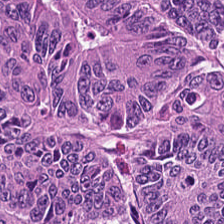FFPE tissue section · H&E.
This field is colorectal adenocarcinoma epithelium.
